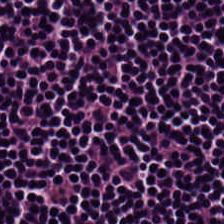224×224 pixel tile; FFPE; hematoxylin and eosin — Predominantly lymphocyte aggregate.
